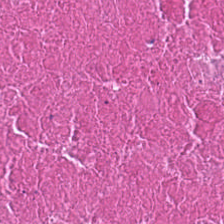FFPE tissue section; hematoxylin-and-eosin stained section — Showing debris.
